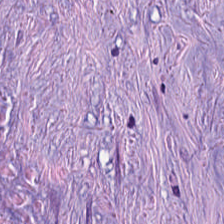Tissue = tumor-associated stroma.
